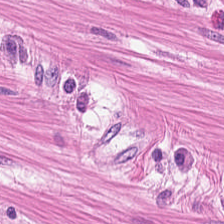224×224 px patch; 20× equivalent magnification; H&E stain.
Tissue type: smooth muscle.
